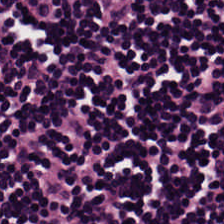H&E. Brightfield. FFPE.
The classification is lymphocytic infiltrate.
